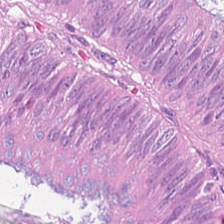H&E.
The tissue here is tumor epithelium.
